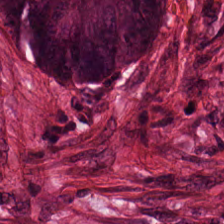H&E. 224×224 pixel tile. Tumor epithelium.
